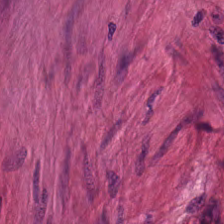Hematoxylin and eosin — Classification — smooth-muscle tissue.
